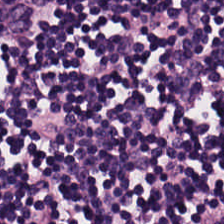Hematoxylin-and-eosin stained section. Formalin-fixed paraffin-embedded section.
Q: Identify the tissue.
A: It is lymphocyte aggregate.
